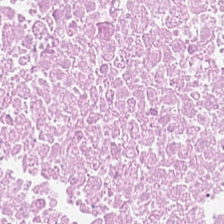20× equivalent magnification. H&E-stained tissue section. This field is cellular debris.
